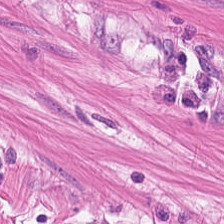H&E stain. Formalin-fixed paraffin-embedded section.
The predominant tissue is smooth-muscle tissue.
